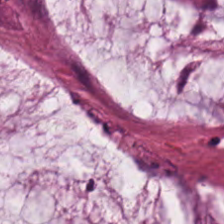H&E-stained tissue section · whole-slide-image patch. Histology — mucus.
